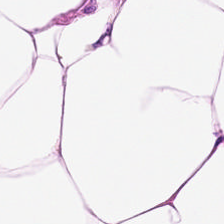The tissue here is adipose.
